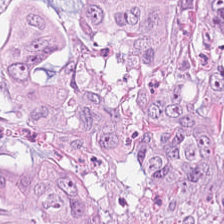H&E — malignant epithelium.
